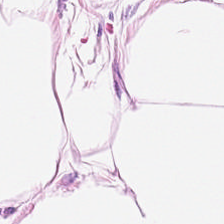Whole-slide-image patch; hematoxylin-and-eosin stained section — This field is adipose tissue.
